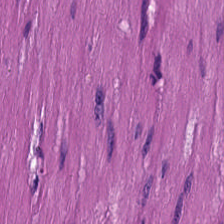H&E stain. {"tissue_type": "smooth muscle"}
